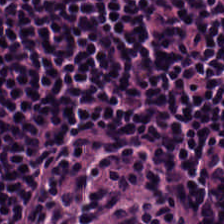Hematoxylin and eosin.
Impression → lymphocyte aggregate.
